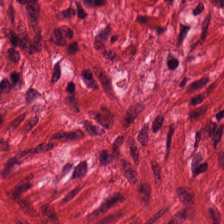Stain: H&E.
Predominant tissue: muscularis.
